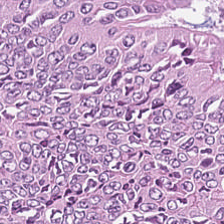Hematoxylin-and-eosin stained section · 224×224 px tile · 20× equivalent magnification. The predominant tissue is malignant epithelium.
